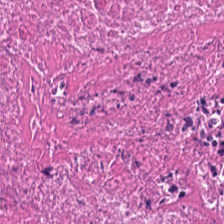224×224 pixel tile; H&E. Necrotic debris.
